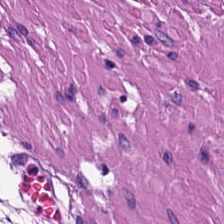H&E-stained tissue section; WSI patch; 224×224 pixel tile — Q: Identify the tissue.
A: The field shows smooth-muscle tissue.
